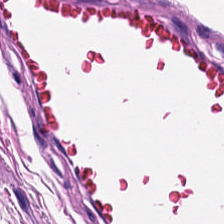Tissue type: smooth muscle.
